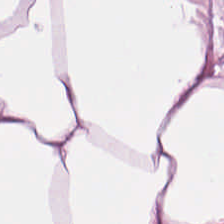H&E-stained tissue section — The tissue is adipose.
